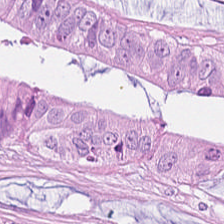H&E stain — Predominant tissue — colorectal adenocarcinoma.
